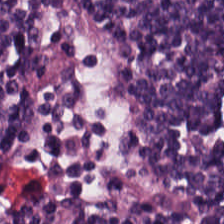Hematoxylin-and-eosin stained section — The tissue here is lymphocytes.
